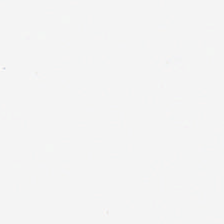Stain: H&E.
Classification: empty background.
